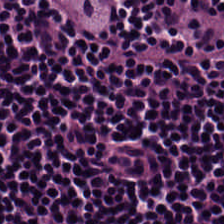Classification: lymphocyte aggregate.
